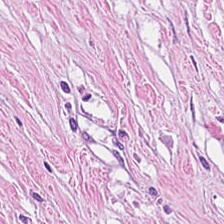0.5 microns per pixel · H&E stain. Tissue class — desmoplastic stroma.
